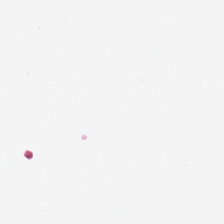Stain: hematoxylin-and-eosin stained section.
Field content: background (no tissue).
